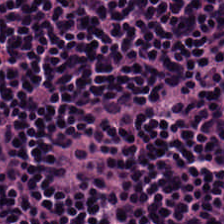Brightfield · hematoxylin and eosin.
The predominant tissue is lymphocyte aggregate.
